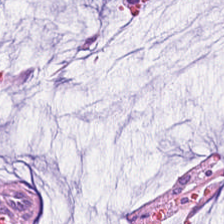The tissue is mucus.
